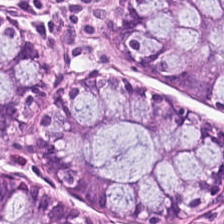H&E stain.
Q: What tissue is shown?
A: It is non-neoplastic colon mucosa.
